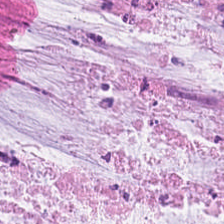224×224 pixel tile · H&E-stained tissue section. Predominantly extracellular mucin.
